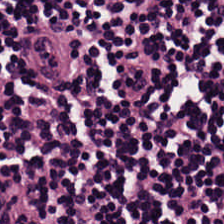Hematoxylin-and-eosin stained section. {"tissue_type": "lymphocyte aggregate"}
